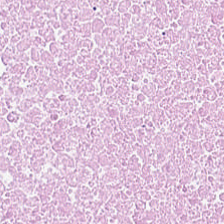Hematoxylin and eosin; 224×224 pixel tile.
{"tissue_type": "debris"}
